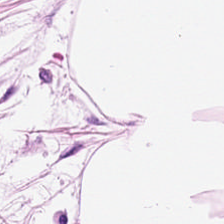Q: What tissue is shown?
A: It is adipose tissue.
